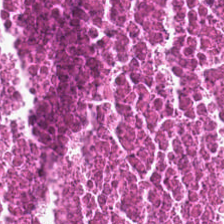0.5 µm/px. Formalin-fixed paraffin-embedded section. Hematoxylin and eosin — The predominant tissue is cellular debris.
